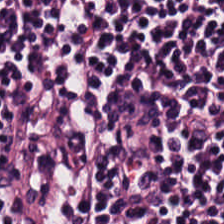Hematoxylin and eosin. Tissue class: lymphocytes.
